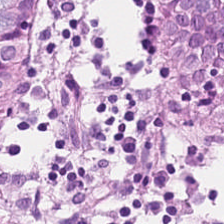Brightfield microscopy · 20× equivalent magnification · H&E-stained tissue section — Q: What does this patch show?
A: It is normal colon mucosa.
